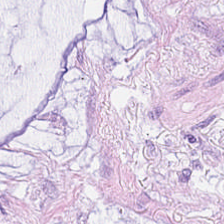WSI patch. 20× equivalent magnification. H&E-stained tissue section. Q: What type of tissue is this?
A: The field shows extracellular mucin.
